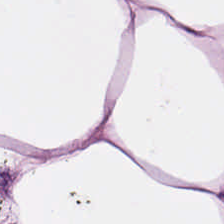H&E stain.
Tissue — adipocytes.
